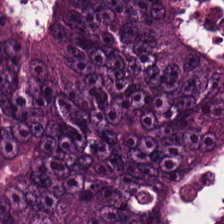H&E-stained tissue section.
Classification = colorectal adenocarcinoma epithelium.
